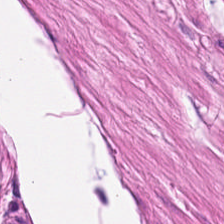Hematoxylin-and-eosin stained section.
Q: Identify the tissue.
A: Muscularis.
